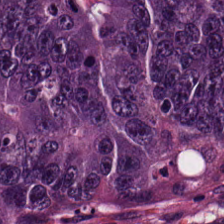H&E.
Classification = colorectal adenocarcinoma epithelium.
